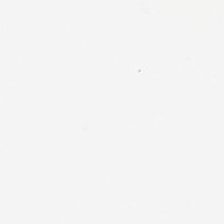H&E stain.
The field content is background.
